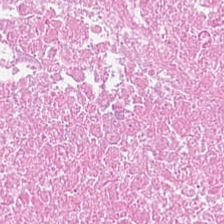H&E-stained tissue section · brightfield microscopy. The tissue here is necrotic debris.
